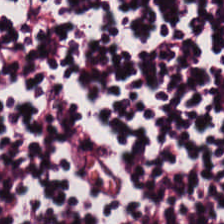Tissue — lymphocyte aggregate.
